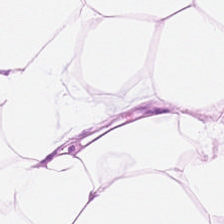Hematoxylin-and-eosin stained section. The tissue class is adipocytes.
